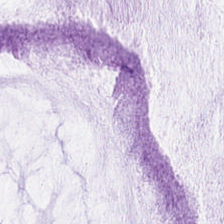H&E-stained section; the field shows mucus.
